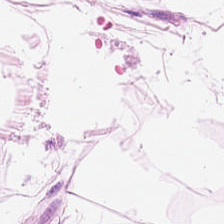Showing adipose tissue.
